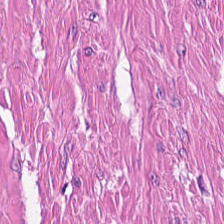Q: What type of tissue is this?
A: The field shows smooth muscle.
